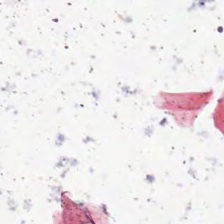Hematoxylin and eosin. Background (no tissue).
